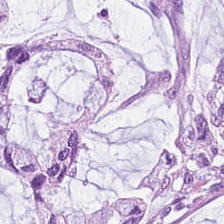The tissue here is extracellular mucin.
